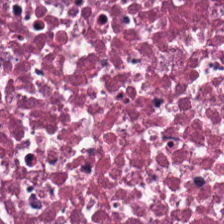Stain: H&E stain.
Resolution: 0.5 µm/px.
Tissue type: necrotic debris.
